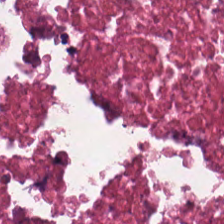Hematoxylin and eosin · 20× equivalent magnification.
Finding — debris.
